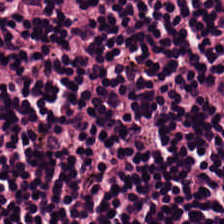224×224 pixel tile · 0.5 µm/px · H&E.
Classification — lymphocytes.
